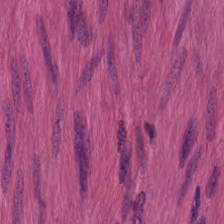Q: What tissue is shown?
A: Smooth muscle.
